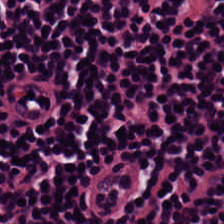H&E-stained tissue section — Q: Identify the tissue.
A: The field shows lymphoid infiltrate.
